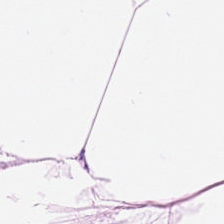H&E stain — The tissue is adipose.
